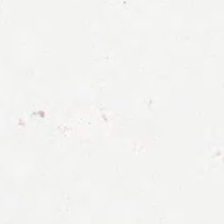Hematoxylin-and-eosin stained section. 0.5 microns per pixel. Brightfield — Background — no tissue in this field.
